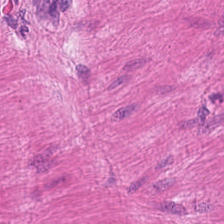Hematoxylin-and-eosin stained section — Smooth muscle.
